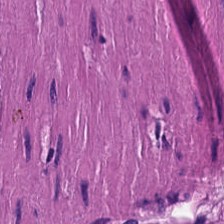Hematoxylin and eosin — This patch shows muscularis.
